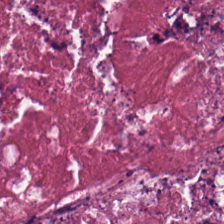H&E.
This patch shows cellular debris.
